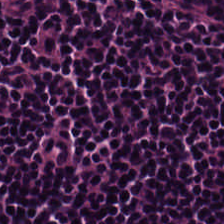H&E stain — Q: Classify this patch.
A: This is lymphoid infiltrate.
